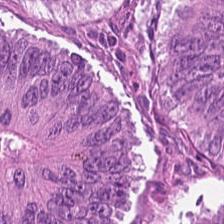Hematoxylin-and-eosin stained section — Q: Identify the tissue.
A: The field shows colorectal adenocarcinoma epithelium.
